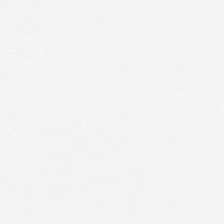WSI patch · H&E-stained tissue section — The content is empty background.
